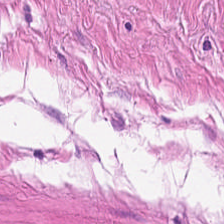Hematoxylin-and-eosin stained section · formalin-fixed paraffin-embedded section — Smooth-muscle tissue.
